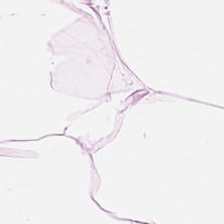Hematoxylin-and-eosin stained section. Q: What tissue is shown?
A: It is adipose.
